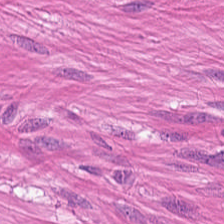H&E-stained tissue section.
Showing smooth muscle.
